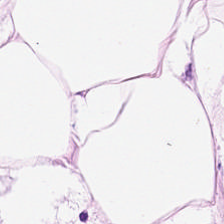H&E — fat tissue.
